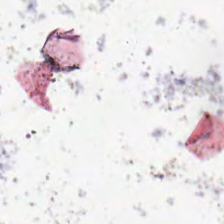Background — no tissue in this field.
